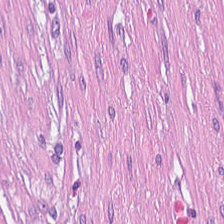This field is tumor stroma.
